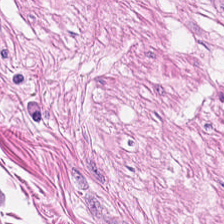Hematoxylin and eosin — Classification = muscularis.
